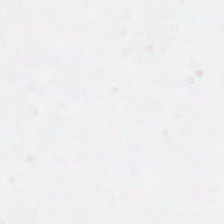H&E stain. Content — empty background.
